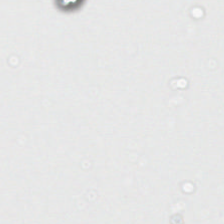H&E-stained tissue section — Q: What is shown in this field?
A: This is empty background.
